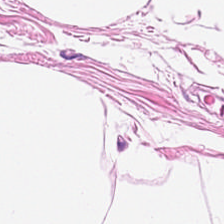Hematoxylin and eosin · 224×224 px patch — Impression → fat tissue.
